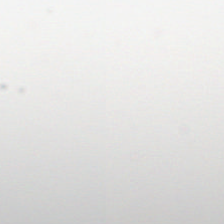H&E stain.
Q: Classify this patch.
A: It is empty background.
